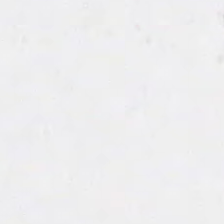H&E stain.
Finding — empty background.
